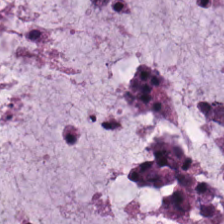H&E. Q: What tissue is shown?
A: Extracellular mucin.
